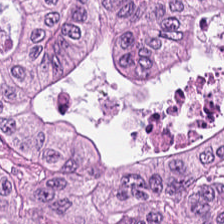0.5 µm per pixel. Hematoxylin-and-eosin stained section. Showing malignant epithelium.
